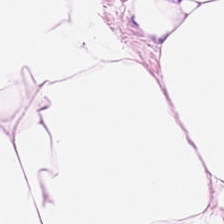H&E-stained tissue section. 0.5 µm per pixel. The classification is fat tissue.
